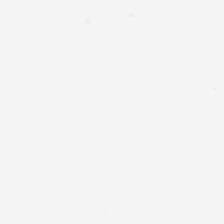FFPE tissue section; H&E. This patch shows background (no tissue).
